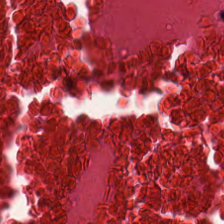The tissue class is necrotic debris.
